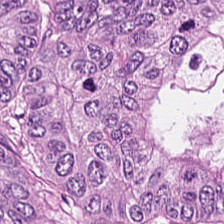FFPE tissue section · H&E-stained tissue section · brightfield.
Tissue class — colorectal adenocarcinoma.
